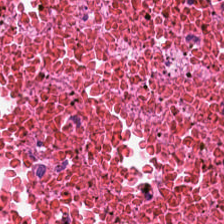The predominant tissue is debris.
